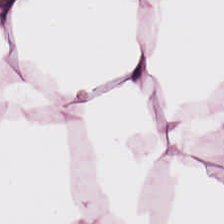224×224 px patch; H&E-stained tissue section.
Q: What is shown here?
A: Adipocytes.
